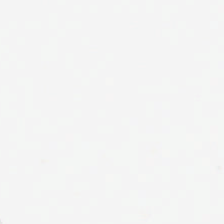FFPE tissue section; hematoxylin and eosin — {"content": "background (no tissue)"}
